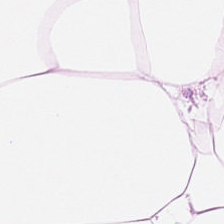This field is adipose.
